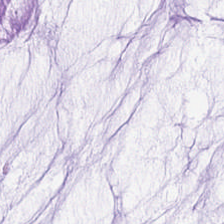Extracellular mucin.
